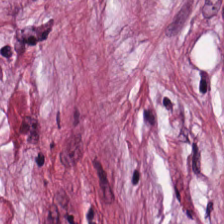H&E-stained tissue section showing tumor stroma.
